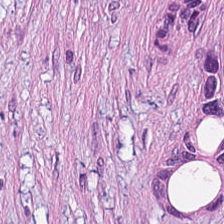FFPE · H&E stain — Impression → desmoplastic stroma.
